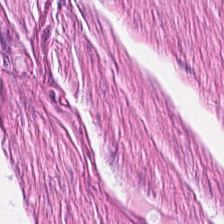H&E. 0.5 µm per pixel.
The tissue is smooth-muscle tissue.
